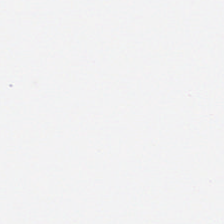Brightfield microscopy · H&E.
Content: no tissue.
